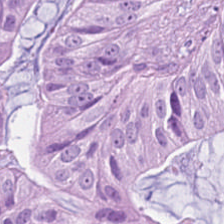H&E. Finding → adenocarcinoma.
